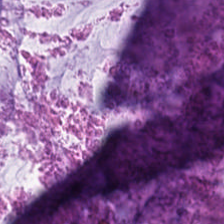H&E-stained tissue section — Tissue = mucin.
